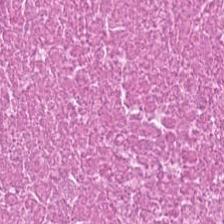H&E-stained tissue section — Q: What tissue type is shown here?
A: The field shows debris.
